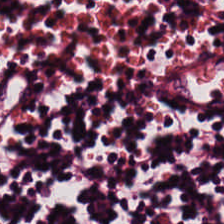0.5 µm/px · FFPE · H&E.
Histology → lymphoid infiltrate.
